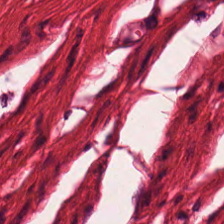Showing muscularis.
